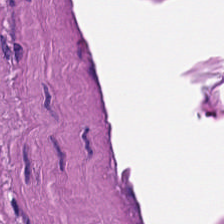The tissue is smooth muscle.
